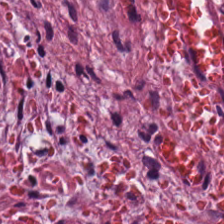FFPE. Hematoxylin-and-eosin stained section — Tissue = cancer-associated stroma.
